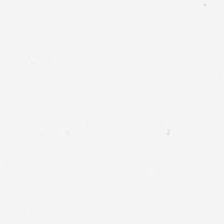Field content = background (no tissue).
